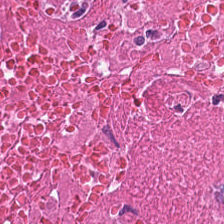Hematoxylin-and-eosin section: debris.
